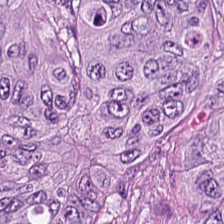H&E.
The tissue here is tumor epithelium.
